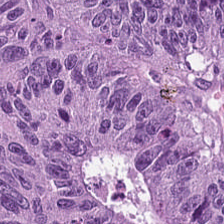The predominant tissue is malignant epithelium.
